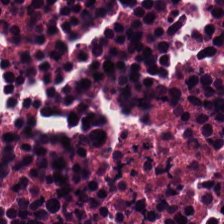224×224 px tile. H&E-stained tissue section. Formalin-fixed paraffin-embedded section — Predominant tissue — cellular debris.
